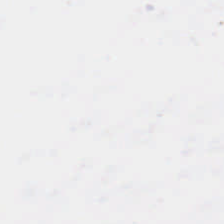H&E-stained tissue section; formalin-fixed paraffin-embedded section.
Content — background.
